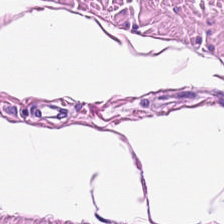H&E-stained tissue section · FFPE tissue section · WSI patch. Tissue class — smooth-muscle tissue.
